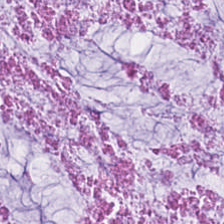Hematoxylin and eosin · WSI patch · 0.5 µm/px. Classification: mucin.
